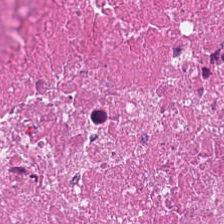0.5 µm/px · H&E stain · FFPE tissue section — Q: What is shown here?
A: Necrotic debris.
